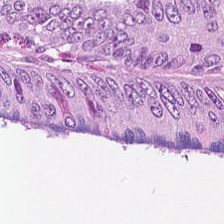Hematoxylin-and-eosin stained section — Tissue class — tumor epithelium.
